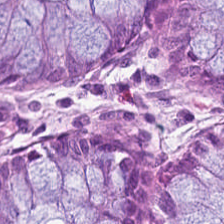Whole-slide-image patch; hematoxylin and eosin.
Histology — normal colon mucosa.
